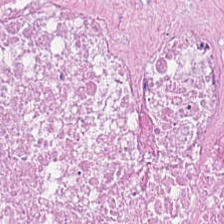Hematoxylin and eosin. Finding → cellular debris.
